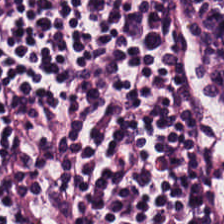Hematoxylin-and-eosin stained section. The predominant tissue is lymphocytes.
